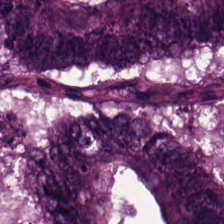H&E stain. Brightfield — This patch shows adenocarcinoma.
